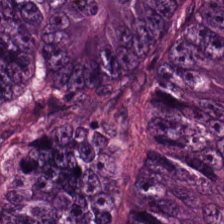H&E.
Histology → malignant epithelium.
